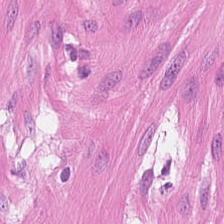H&E · brightfield.
The tissue here is smooth muscle.
